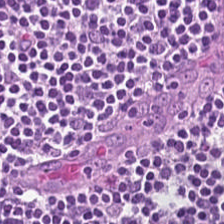H&E.
{"tissue_type": "lymphocyte aggregate"}
